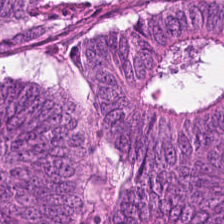H&E.
Histology — colorectal adenocarcinoma.
